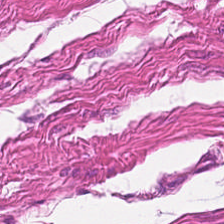FFPE tissue section · H&E · 20× equivalent magnification — {"tissue_type": "smooth muscle"}
